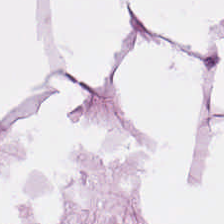H&E — fat tissue.
